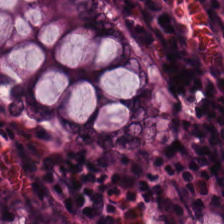Hematoxylin-and-eosin stained section · 20× equivalent magnification — Q: What tissue is shown?
A: This is normal colonic mucosa.
